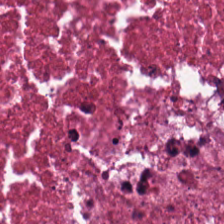Stain: hematoxylin-and-eosin stained section.
Resolution: 0.5 µm per pixel.
Tissue type: necrotic debris.
